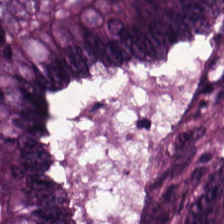Tissue = colorectal adenocarcinoma.
